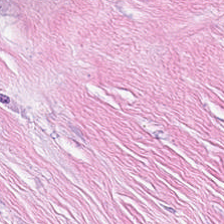Stain: H&E.
Tile size: 224×224 px patch.
Predominant tissue: desmoplastic stroma.
